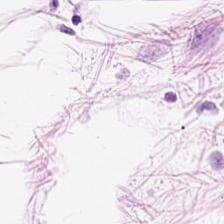Impression → fat tissue.
